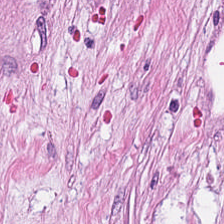{"tissue_type": "desmoplastic stroma"}
